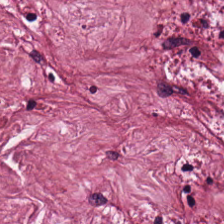Hematoxylin and eosin.
The tissue class is desmoplastic stroma.
